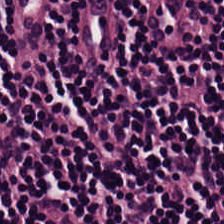Impression → lymphoid infiltrate.
